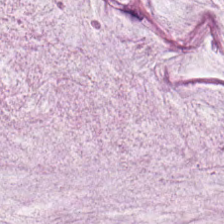Hematoxylin-and-eosin stained section · FFPE tissue section · WSI patch — Q: What tissue is shown?
A: It is mucus.
